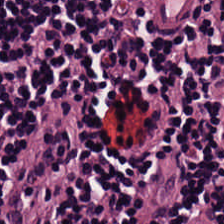Stain: hematoxylin and eosin.
Acquisition: WSI patch.
Resolution: 0.5 microns per pixel.
Tissue type: lymphoid infiltrate.
